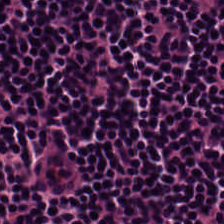Predominantly lymphocyte aggregate.
